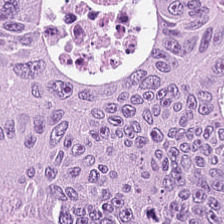Hematoxylin-and-eosin stained section · WSI patch · 20× equivalent magnification.
The tissue here is colorectal adenocarcinoma.
